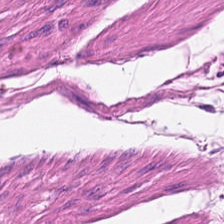Stain: H&E-stained tissue section.
Tile size: 224×224 px tile.
Tissue type: muscularis.
